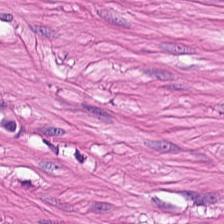Hematoxylin-and-eosin stained section.
Tissue type: smooth-muscle tissue.
